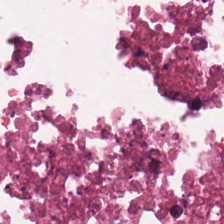Brightfield · formalin-fixed paraffin-embedded section · H&E stain.
Tissue type = cellular debris.
